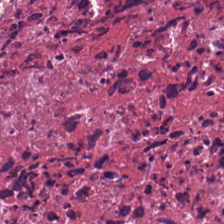H&E-stained tissue section. Finding — necrotic debris.
